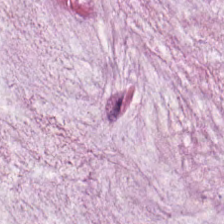Tissue type — mucin.
